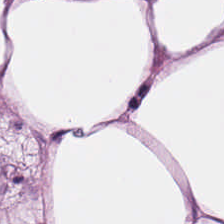Q: What is shown in this field?
A: Adipose tissue.
